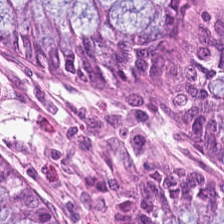H&E.
Predominantly non-neoplastic colon mucosa.
